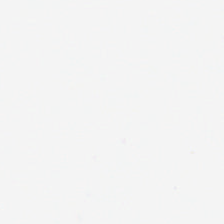Formalin-fixed paraffin-embedded section; 224×224 px patch; hematoxylin and eosin.
{"content": "empty background"}
